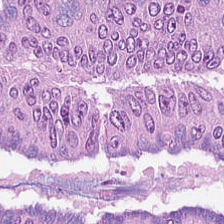Hematoxylin-and-eosin stained section.
Tissue class — adenocarcinoma.
